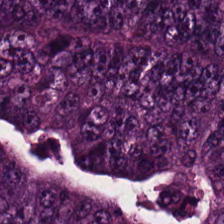Brightfield; 224×224 px patch; hematoxylin-and-eosin stained section — Q: What is shown in this field?
A: It is malignant epithelium.
